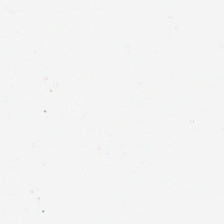20× equivalent magnification. Hematoxylin and eosin.
The content is background.
